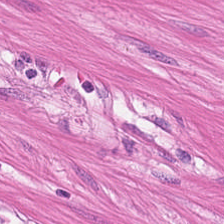Hematoxylin and eosin. This patch shows muscularis.
